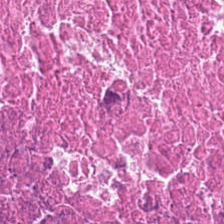Stain: H&E stain.
Resolution: 0.5 µm per pixel.
Tissue class: cellular debris.
